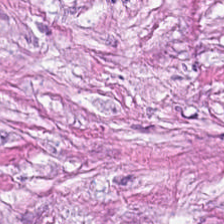Classification = tumor-associated stroma.
